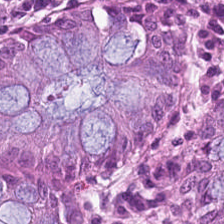H&E-stained tissue section — Impression → normal colonic mucosa.
